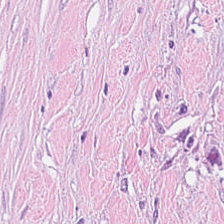Stain: H&E.
Classification: desmoplastic stroma.
